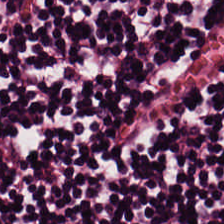H&E; 224×224 pixel tile. Tissue class — lymphoid infiltrate.
